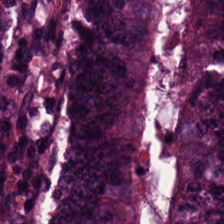H&E stain. Q: What does this patch show?
A: Tumor epithelium.
